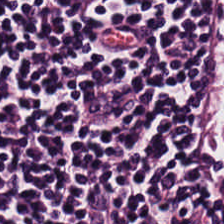H&E stain. 224×224 px patch. The tissue class is lymphocytes.
